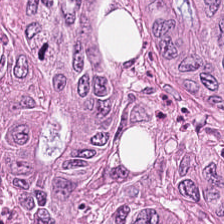Formalin-fixed paraffin-embedded section. Hematoxylin and eosin. Classification = colorectal adenocarcinoma.
